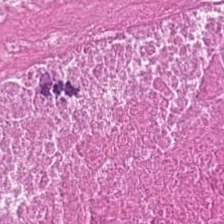0.5 µm per pixel. H&E-stained tissue section. 224×224 pixel tile. This patch shows cellular debris.
